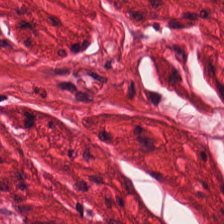The predominant tissue is muscularis.
